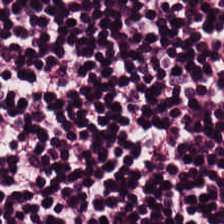H&E — lymphoid infiltrate.
